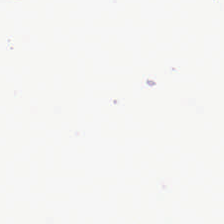Background.
